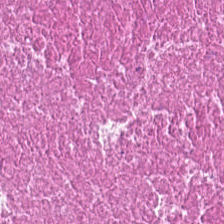Hematoxylin and eosin. Q: What does this patch show?
A: The field shows necrotic debris.
